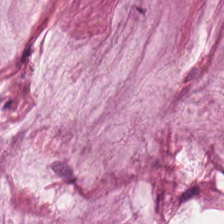H&E stain; FFPE. Q: What is the predominant tissue type?
A: The field shows extracellular mucin.
